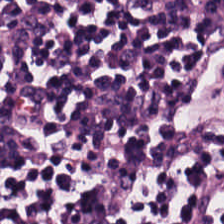Hematoxylin and eosin · FFPE. {"tissue_type": "lymphocytic infiltrate"}
